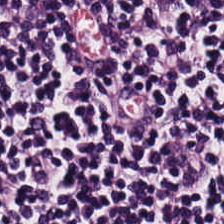Stain: H&E stain.
Tissue: lymphocytes.
